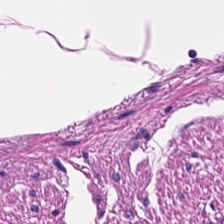H&E. FFPE tissue section. Q: What type of tissue is this?
A: Smooth muscle.
